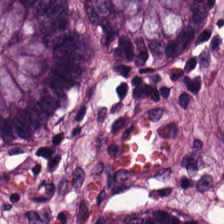Hematoxylin and eosin. FFPE.
Normal colon mucosa.
